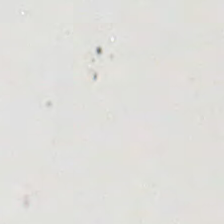H&E stain — Field content — no tissue.
